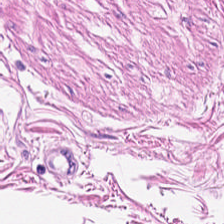{"tissue_type": "smooth-muscle tissue"}
